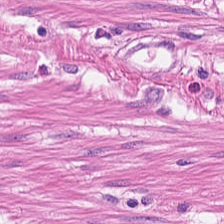Tissue = muscularis.
